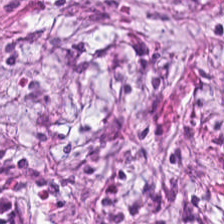This field is tumor-associated stroma.
